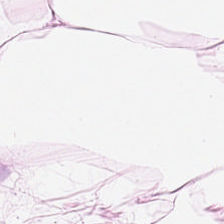Predominant tissue = adipose.
